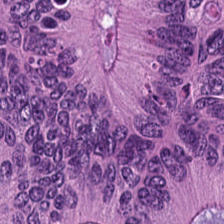Hematoxylin and eosin; 224×224 px patch; whole-slide-image patch — This patch shows malignant epithelium.
